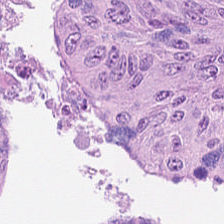H&E-stained section; the field shows colorectal adenocarcinoma epithelium.
